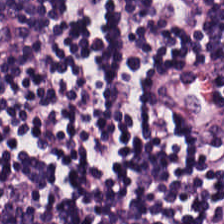224×224 pixel tile. H&E stain — This patch shows lymphocyte aggregate.
